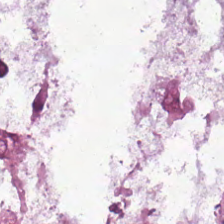WSI patch · H&E · 224×224 px tile.
Predominantly extracellular mucin.
